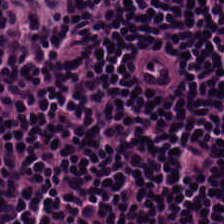H&E; brightfield microscopy. Predominantly lymphocytic infiltrate.
